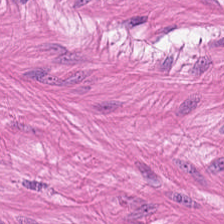224×224 px tile. 0.5 µm/px. H&E stain — Histology — smooth-muscle tissue.
